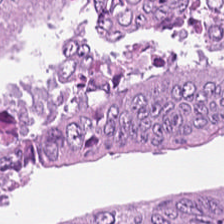Whole-slide-image patch. Hematoxylin-and-eosin stained section.
Tissue = colorectal adenocarcinoma.
